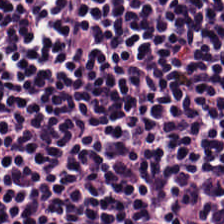224×224 px tile. H&E stain — {"tissue_type": "lymphocytes"}
